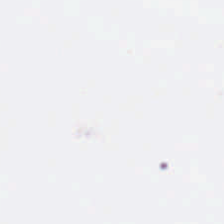FFPE. H&E-stained tissue section — The classification is no tissue.
